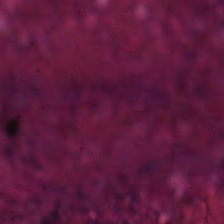H&E. Tissue type: necrotic debris.
